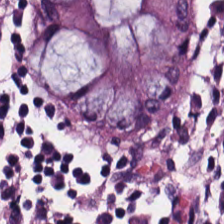Predominant tissue: non-neoplastic colon mucosa.
